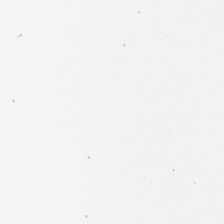H&E-stained tissue section; whole-slide-image patch. Content: empty background.
